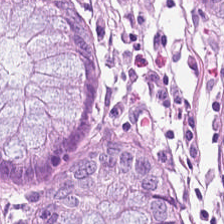Hematoxylin-and-eosin stained section.
Impression — normal colon mucosa.
